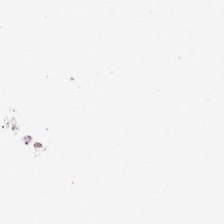Hematoxylin and eosin. Finding — background (no tissue).
